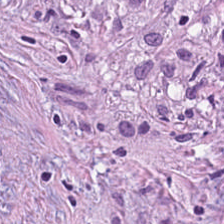Stain: H&E-stained tissue section.
Tile size: 224×224 pixel tile.
Tissue type: desmoplastic stroma.
